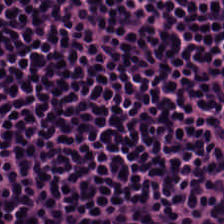0.5 µm per pixel; H&E — Classification = lymphocytes.
